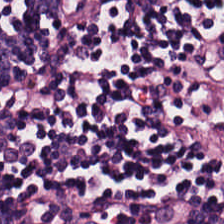{"tissue_type": "lymphocytes"}
